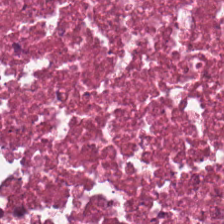Hematoxylin-and-eosin stained section — This field is debris.
